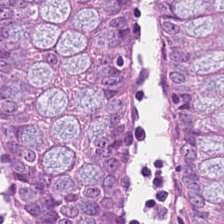Hematoxylin-and-eosin stained section. 0.5 µm/px.
Classification = non-neoplastic colon mucosa.
